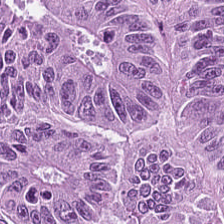Malignant epithelium.
